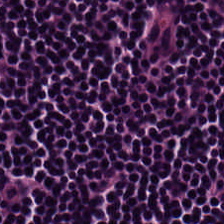Whole-slide-image patch. 224×224 pixel tile. Hematoxylin and eosin — Classification — lymphocytic infiltrate.
